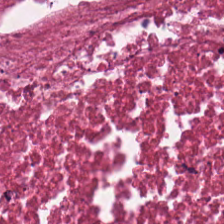H&E stain · 224×224 px tile.
Predominant tissue — debris.
